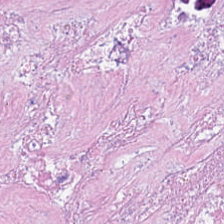H&E-stained tissue section. This patch shows necrotic debris.
